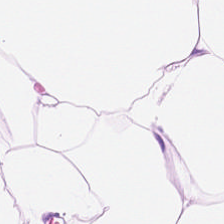0.5 µm/px. Hematoxylin and eosin. FFPE.
Predominantly adipose tissue.
